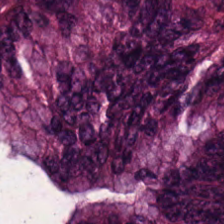H&E.
Impression → tumor epithelium.
